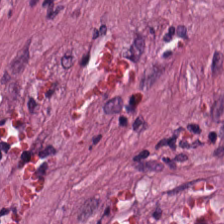Stain: hematoxylin-and-eosin stained section.
Tissue class: cancer-associated stroma.
